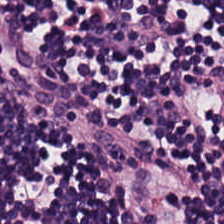Formalin-fixed paraffin-embedded section · H&E stain. Histology — lymphocytes.
